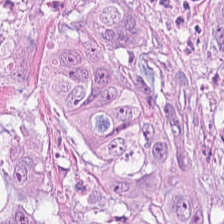Stain: H&E stain.
Acquisition: whole-slide-image patch.
Classification: malignant epithelium.
